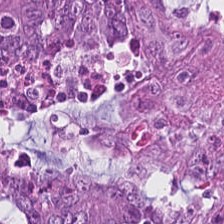Whole-slide-image patch; 0.5 µm/px; hematoxylin and eosin. Q: What tissue type is shown here?
A: The field shows adenocarcinoma.
